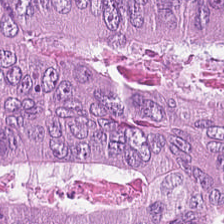Stain: H&E-stained tissue section.
Tissue: colorectal adenocarcinoma.
